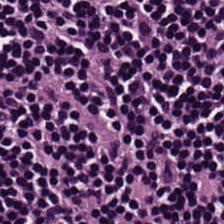H&E · brightfield microscopy · 224×224 px patch.
Tissue = lymphocyte aggregate.
